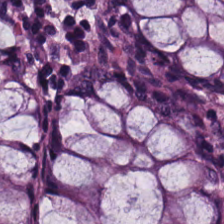Q: What tissue is shown?
A: The field shows non-neoplastic colon mucosa.
